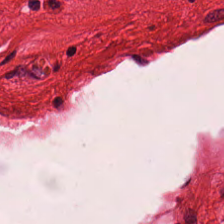Stain: hematoxylin-and-eosin stained section.
Tissue class: muscularis.
